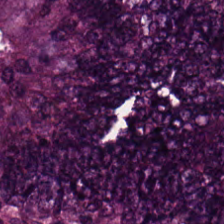Stain: hematoxylin and eosin.
Classification: colorectal adenocarcinoma.
